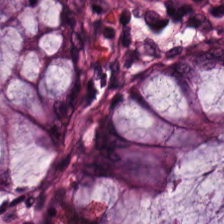0.5 microns per pixel. FFPE tissue section. Hematoxylin-and-eosin stained section. Normal colonic mucosa.
